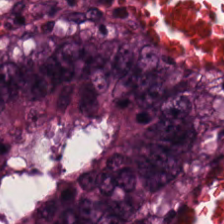Hematoxylin-and-eosin stained section. The classification is colorectal adenocarcinoma epithelium.
